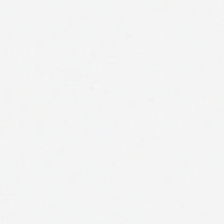This field is background (no tissue).
